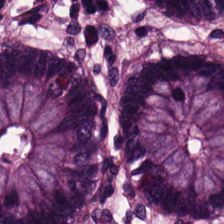Predominantly benign colonic mucosa.
